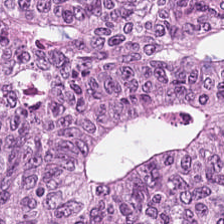H&E stain; 224×224 px patch. Predominantly malignant epithelium.
